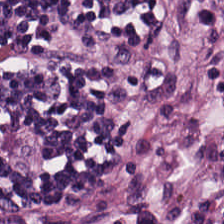Hematoxylin and eosin.
Predominantly lymphocytes.
